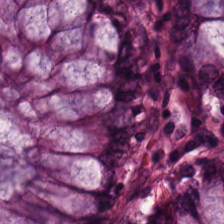Stain: hematoxylin-and-eosin stained section.
Resolution: 0.5 µm per pixel.
Tissue type: normal colonic mucosa.
